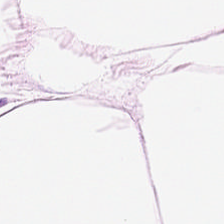H&E-stained tissue section. This patch shows adipose.
